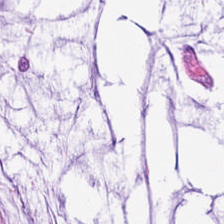Hematoxylin and eosin. This field is extracellular mucin.
